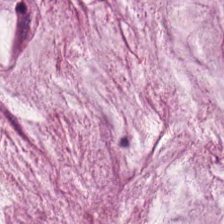H&E. Q: What tissue is shown?
A: Mucin.
